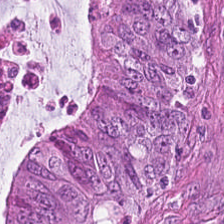Stain: hematoxylin-and-eosin stained section.
Predominant tissue: malignant epithelium.
